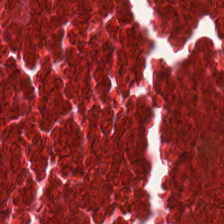H&E stain. 224×224 px tile. This patch shows debris.
